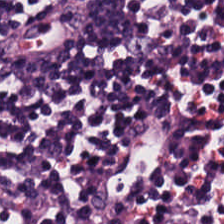H&E. This patch shows lymphocytes.
